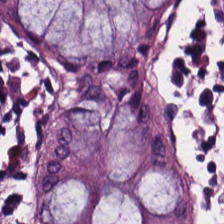Tissue type = normal colonic mucosa.
